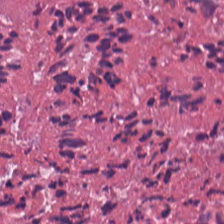Stain: hematoxylin and eosin.
Classification: cellular debris.
